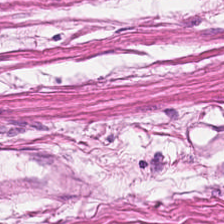FFPE. H&E stain. Predominant tissue: smooth-muscle tissue.
